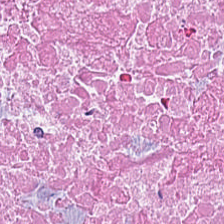H&E stain — The predominant tissue is debris.
